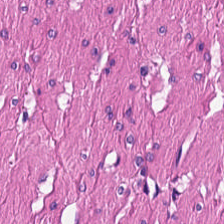Stain: hematoxylin-and-eosin stained section.
Resolution: 20× equivalent magnification.
Tissue: smooth-muscle tissue.
